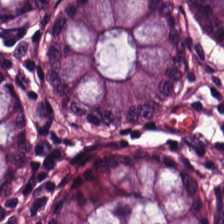Hematoxylin and eosin; 224×224 pixel tile; 20× equivalent magnification. The tissue here is non-neoplastic colon mucosa.
